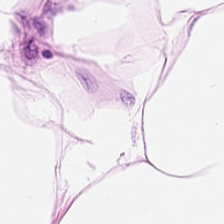Brightfield · H&E-stained tissue section. Tissue = fat tissue.
